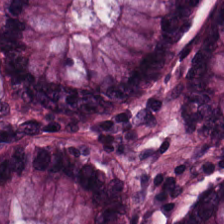Stain: H&E stain.
Acquisition: brightfield.
Tissue class: benign colonic mucosa.
